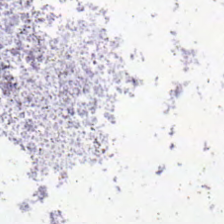H&E-stained tissue section. {"content": "background (no tissue)"}
